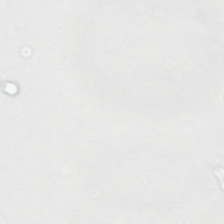Formalin-fixed paraffin-embedded section; hematoxylin-and-eosin stained section.
{"content": "background"}
